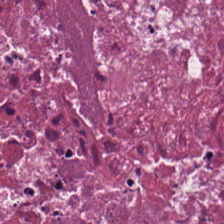FFPE tissue section · 224×224 px tile · H&E.
The tissue is debris.
